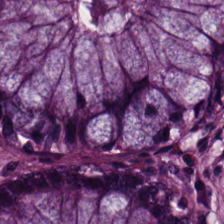H&E stain.
Q: Classify this patch.
A: It is normal colon mucosa.
